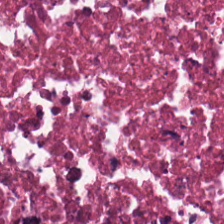Hematoxylin-and-eosin stained section. Predominantly debris.
